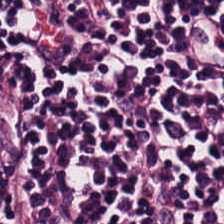Q: What is shown here?
A: This is lymphoid infiltrate.
